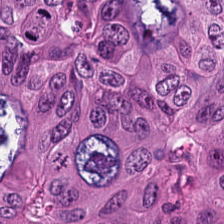H&E-stained tissue section showing colorectal adenocarcinoma epithelium.
